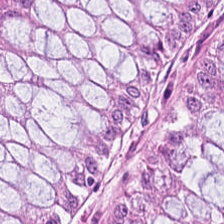The predominant tissue is benign colonic mucosa.
